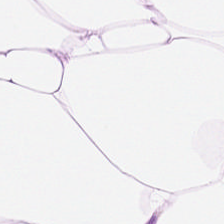Histology → adipocytes.
